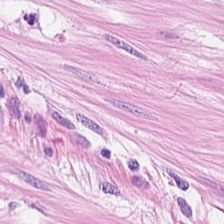Tissue: smooth muscle.
